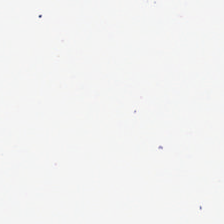Stain: hematoxylin and eosin.
Resolution: 0.5 µm per pixel.
Classification: background (no tissue).
